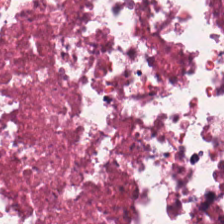Predominant tissue = cellular debris.
